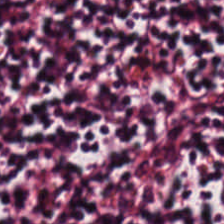Hematoxylin-and-eosin stained section. Whole-slide-image patch.
Tissue class = lymphocytes.
